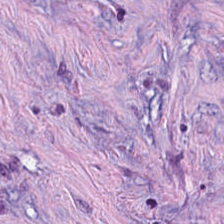H&E. Q: What type of tissue is this?
A: The field shows cancer-associated stroma.
